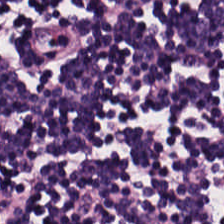H&E stain — The tissue class is lymphocyte aggregate.
